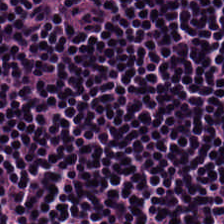H&E stain. This patch shows lymphocytes.
